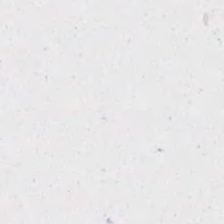FFPE tissue section; hematoxylin-and-eosin stained section; 20× equivalent magnification. Classification: empty background.
